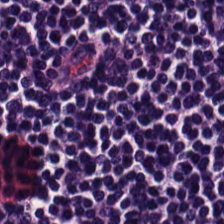H&E-stained tissue section.
{"tissue_type": "lymphocyte aggregate"}
